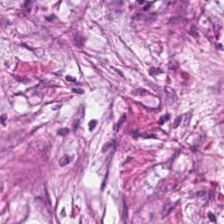0.5 µm per pixel · H&E. {"tissue_type": "tumor stroma"}
